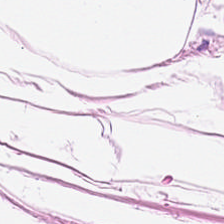Stain: H&E stain.
Tissue class: adipocytes.
